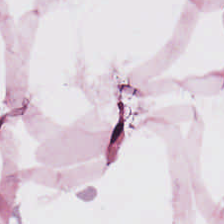Hematoxylin-and-eosin stained section · 224×224 px patch.
Predominant tissue: fat tissue.
